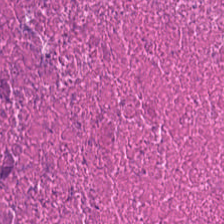Hematoxylin and eosin. {"tissue_type": "necrotic debris"}
